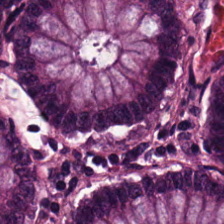H&E-stained tissue section.
The tissue class is normal colon mucosa.
